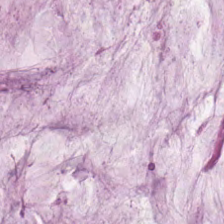The tissue here is extracellular mucin.
